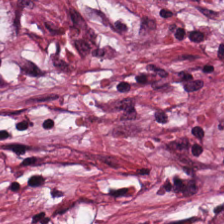Formalin-fixed paraffin-embedded section · H&E-stained tissue section. {"tissue_type": "cancer-associated stroma"}
